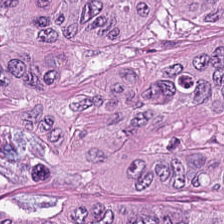H&E-stained tissue section · FFPE · 0.5 µm/px. {"tissue_type": "colorectal adenocarcinoma epithelium"}
